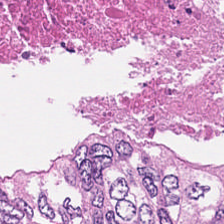WSI patch · hematoxylin and eosin — Necrotic debris.
